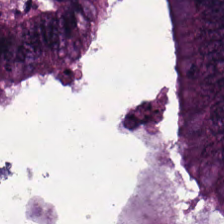Hematoxylin-and-eosin stained section. 20× equivalent magnification.
Predominantly malignant epithelium.
